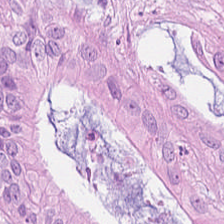H&E. Predominantly adenocarcinoma.
